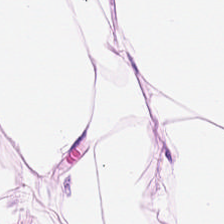H&E-stained tissue section. FFPE tissue section.
Impression → fat tissue.
